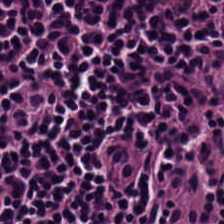Brightfield; H&E stain. This field is lymphocyte aggregate.
